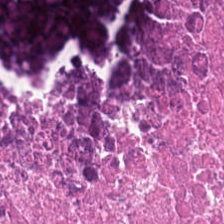Hematoxylin and eosin · 224×224 px patch · WSI patch. {"tissue_type": "debris"}
